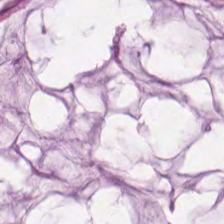H&E stain.
Tissue type: extracellular mucin.
